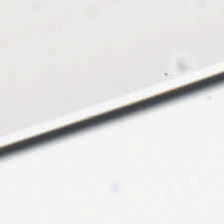Classification = background.
